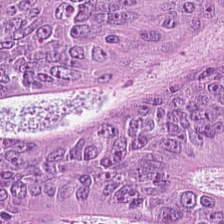Brightfield; hematoxylin-and-eosin stained section; 0.5 microns per pixel.
This field is tumor epithelium.
